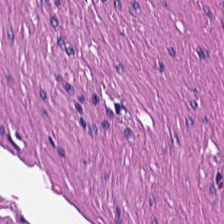Tissue = muscularis.
